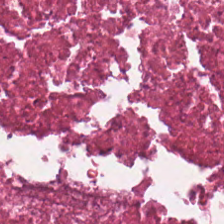Hematoxylin-and-eosin stained section.
The predominant tissue is cellular debris.
